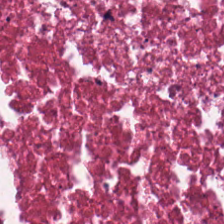H&E-stained tissue section — {"tissue_type": "debris"}
